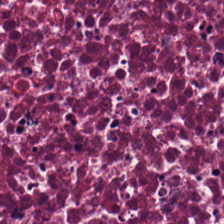H&E stain. The classification is debris.
